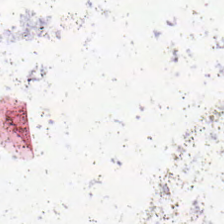Field content = empty background.
